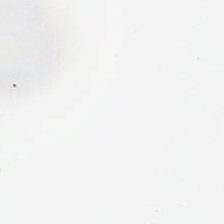Whole-slide-image patch. Hematoxylin-and-eosin stained section — Empty field — background.
